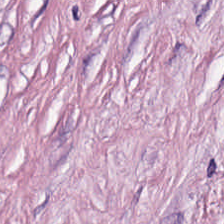Stain: H&E.
Classification: desmoplastic stroma.
